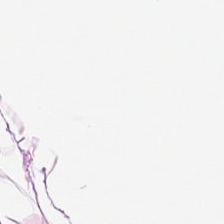H&E-stained tissue section. Impression — fat tissue.
